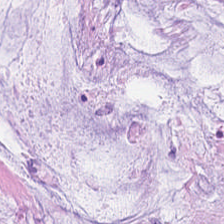H&E-stained tissue section.
Q: What tissue type is shown here?
A: Mucus.
